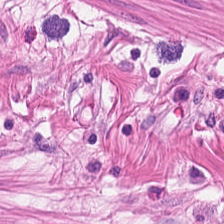FFPE · H&E-stained tissue section.
This field is smooth-muscle tissue.
